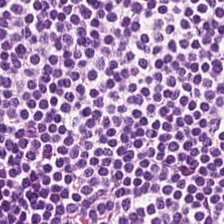H&E stain — Histology → lymphocyte aggregate.
